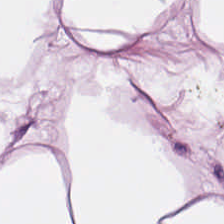Predominantly fat tissue.
